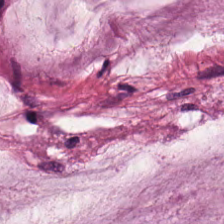FFPE · 224×224 px patch · H&E stain. Predominantly extracellular mucin.
